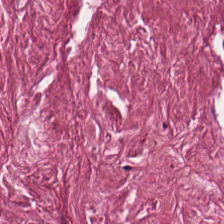H&E-stained section; the field shows desmoplastic stroma.
